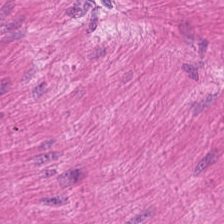224×224 px patch · H&E-stained tissue section.
Tissue type: muscularis.
